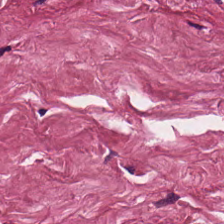Hematoxylin and eosin. 224×224 px tile. Tissue = desmoplastic stroma.
